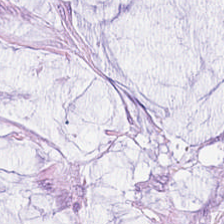Hematoxylin and eosin.
Classification: mucus.
